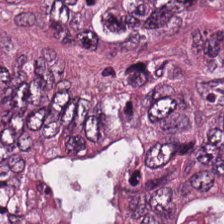H&E stain — Colorectal adenocarcinoma epithelium.
